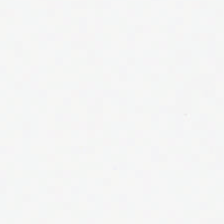Hematoxylin and eosin.
Q: Classify this patch.
A: It is empty background.
